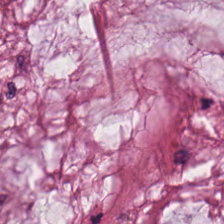H&E stain — Showing extracellular mucin.
